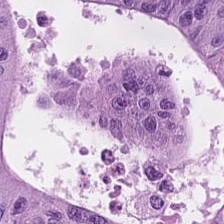H&E-stained tissue section showing colorectal adenocarcinoma epithelium.
